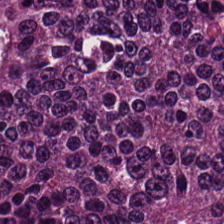224×224 px patch; H&E-stained tissue section. Predominant tissue — colorectal adenocarcinoma.
